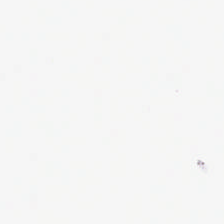Field content — no tissue.
